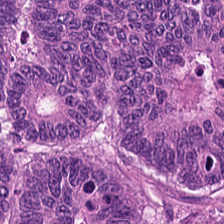Hematoxylin and eosin; FFPE — Histology → adenocarcinoma.
